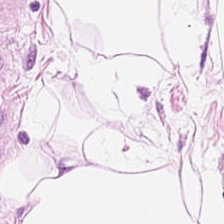Stain: H&E stain.
Acquisition: brightfield.
Tissue type: adipocytes.
